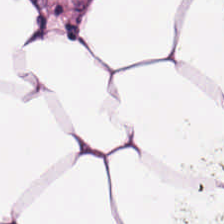H&E; brightfield microscopy.
This patch shows adipose.
